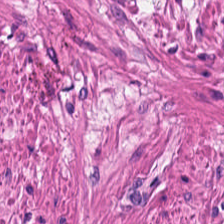H&E-stained tissue section. Q: What does this patch show?
A: It is smooth muscle.
